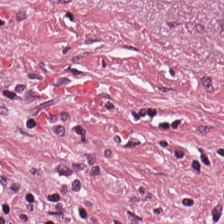224×224 px patch. Hematoxylin-and-eosin stained section — This patch shows cancer-associated stroma.
